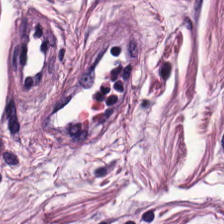H&E stain. The tissue type is smooth muscle.
